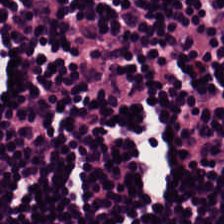H&E stain. Classification — lymphocytes.
